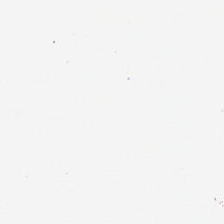Hematoxylin and eosin · 0.5 microns per pixel.
The content is background (no tissue).
